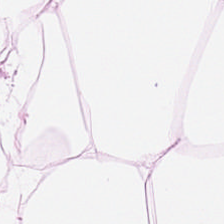H&E stain. FFPE tissue section — {"tissue_type": "adipose"}
